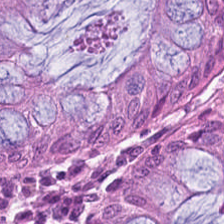Brightfield; hematoxylin-and-eosin stained section; formalin-fixed paraffin-embedded section. Non-neoplastic colon mucosa.
